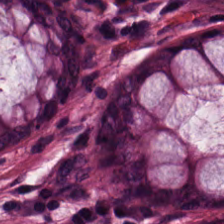H&E stain; FFPE tissue section — Q: Identify the tissue.
A: The field shows non-neoplastic colon mucosa.
